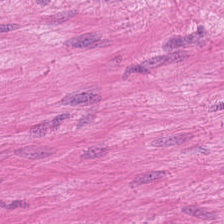H&E stain; FFPE tissue section.
Predominantly smooth-muscle tissue.
